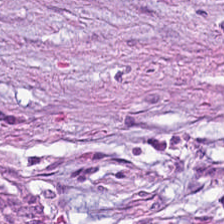Brightfield microscopy. H&E stain — Tissue class: desmoplastic stroma.
